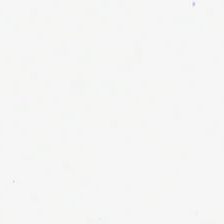H&E-stained tissue section. Classification — background.
